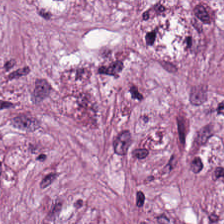Hematoxylin and eosin; 0.5 microns per pixel — Predominant tissue — tumor-associated stroma.
